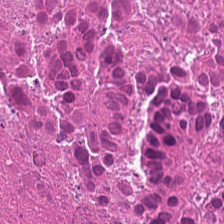Stain: H&E stain.
Resolution: 0.5 microns per pixel.
Predominant tissue: debris.
